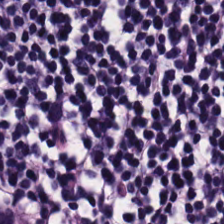Stain: H&E-stained tissue section.
Resolution: 0.5 µm/px.
Classification: lymphocytic infiltrate.
